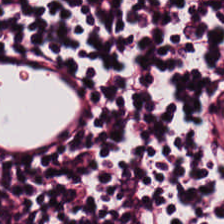0.5 µm per pixel; brightfield; H&E-stained tissue section — The tissue is lymphoid infiltrate.
